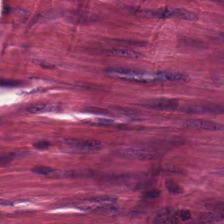Stain: H&E stain.
Classification: tumor stroma.
